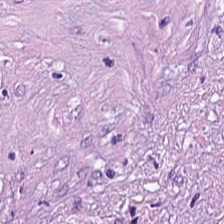Q: Classify this patch.
A: Tumor stroma.
